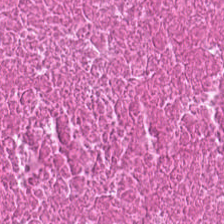Hematoxylin and eosin. Tissue type = cellular debris.
